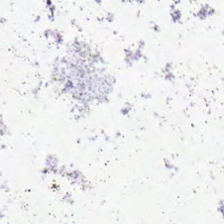Hematoxylin-and-eosin stained section; formalin-fixed paraffin-embedded section.
Empty background.
